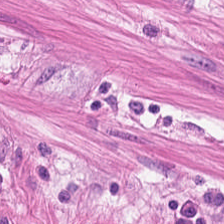Q: What type of tissue is this?
A: This is smooth muscle.
